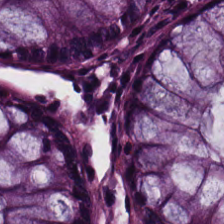Classification: non-neoplastic colon mucosa.
